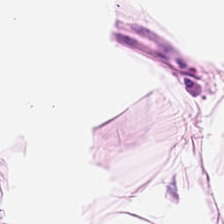Hematoxylin and eosin — The tissue class is adipose.
